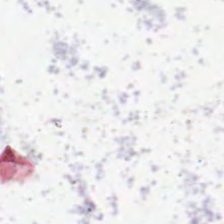Q: What is shown in this field?
A: This is background.
